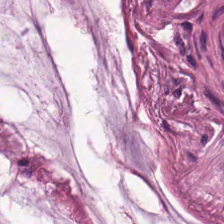Q: What is the predominant tissue type?
A: Mucin.
